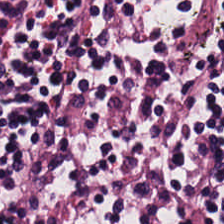Hematoxylin and eosin; 0.5 µm per pixel — The tissue is lymphocyte aggregate.
